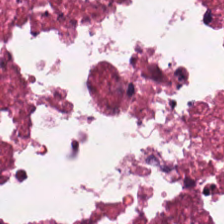224×224 pixel tile; hematoxylin and eosin — Q: What is shown in this field?
A: It is necrotic debris.
